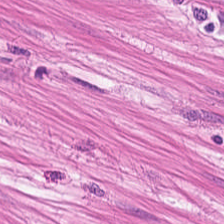Tissue type: smooth muscle.
